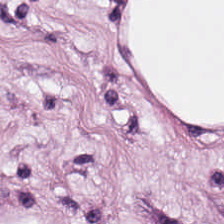Hematoxylin and eosin. 0.5 microns per pixel. Whole-slide-image patch. Tissue type: adipocytes.
